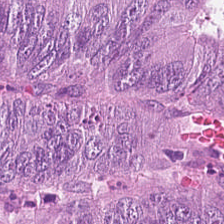H&E.
This field is colorectal adenocarcinoma epithelium.
